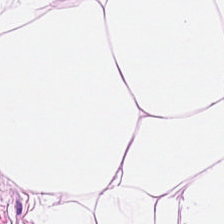Stain: H&E-stained tissue section.
Tissue type: adipose tissue.
